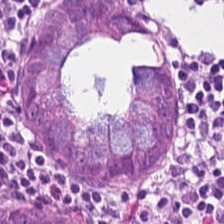Stain: hematoxylin and eosin.
Tissue type: benign colonic mucosa.
